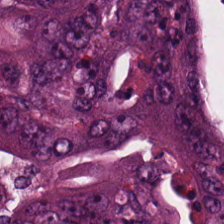Hematoxylin-and-eosin stained section · brightfield — Colorectal adenocarcinoma.
